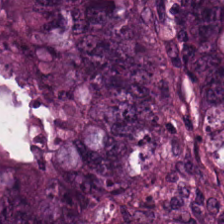FFPE; hematoxylin and eosin; 224×224 pixel tile. Q: What is shown here?
A: It is colorectal adenocarcinoma epithelium.
